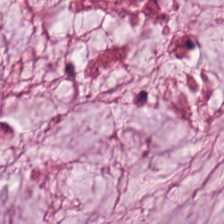H&E-stained tissue section — Q: What is shown here?
A: It is extracellular mucin.
